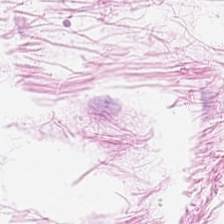H&E-stained tissue section. FFPE — This field is adipose tissue.
